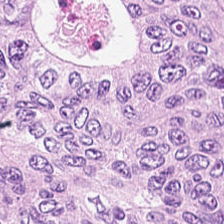Q: Classify this patch.
A: It is malignant epithelium.
